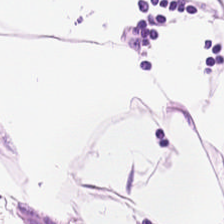Hematoxylin-and-eosin section: adipose.
